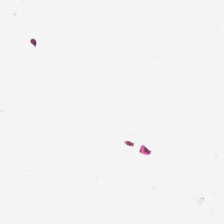Field content — no tissue.
